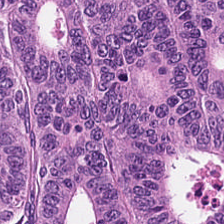{"tissue_type": "colorectal adenocarcinoma epithelium"}
